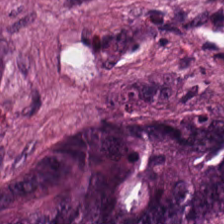Stain: H&E-stained tissue section.
Tissue type: adenocarcinoma.
